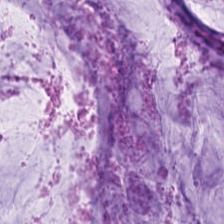Hematoxylin and eosin — Mucus.
